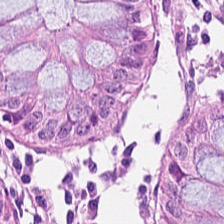Stain: H&E.
Tile size: 224×224 px patch.
Acquisition: brightfield.
Predominant tissue: non-neoplastic colon mucosa.
